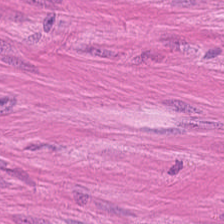0.5 microns per pixel; H&E — {"tissue_type": "smooth muscle"}
